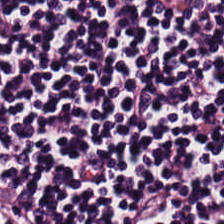H&E. Whole-slide-image patch. 224×224 pixel tile.
Predominant tissue = lymphocytes.
